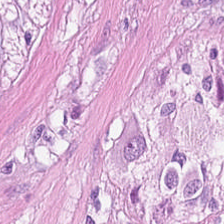Stain: hematoxylin-and-eosin stained section.
Preparation: FFPE.
Predominant tissue: smooth-muscle tissue.
